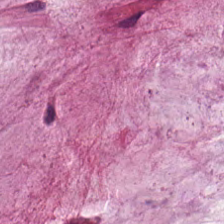H&E; 0.5 µm per pixel; brightfield.
Tissue: mucus.
